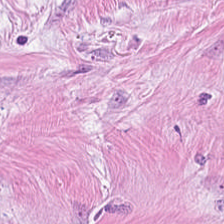Hematoxylin-and-eosin stained section — This patch shows cancer-associated stroma.
